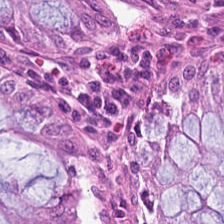224×224 px tile · H&E · 0.5 microns per pixel.
Tissue — normal colonic mucosa.
